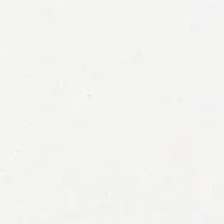FFPE. H&E stain. 0.5 µm per pixel — This field is background (no tissue).
